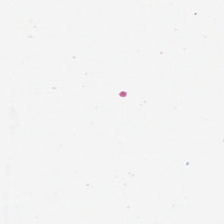Field content — background (no tissue).
